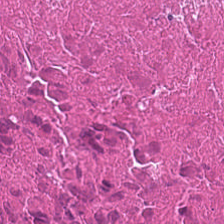H&E-stained tissue section. Classification = debris.
